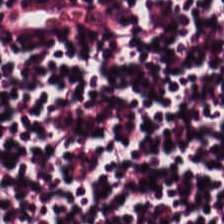20× equivalent magnification. WSI patch. Hematoxylin-and-eosin stained section.
Tissue = lymphocytes.
